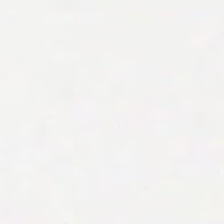Hematoxylin-and-eosin stained section. 224×224 pixel tile — Q: What is shown in this field?
A: It is empty background.
